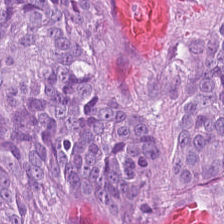Hematoxylin and eosin. 0.5 microns per pixel. 224×224 px patch.
The predominant tissue is tumor epithelium.
